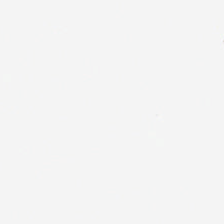H&E-stained tissue section — Classification = background.
